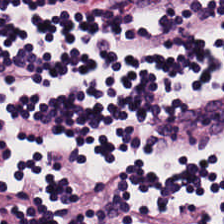H&E stain.
This field is lymphocytes.
